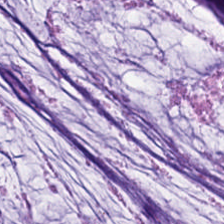The tissue here is mucus.
